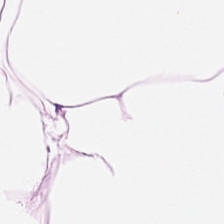0.5 µm per pixel; hematoxylin and eosin — {"tissue_type": "adipose tissue"}
